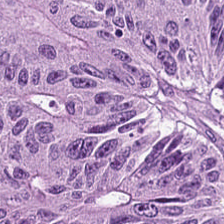Hematoxylin and eosin. Finding → tumor epithelium.
